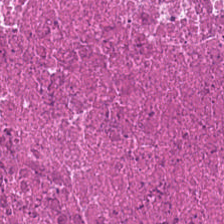Stain: H&E stain.
Tile size: 224×224 px patch.
Tissue: cellular debris.
